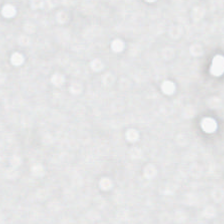224×224 px tile · H&E-stained tissue section. Classification — empty background.
